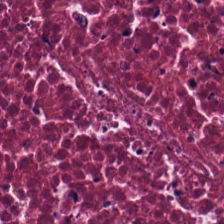The tissue here is cellular debris.
